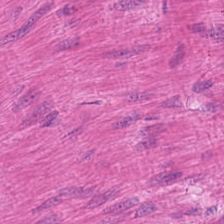Stain: H&E stain.
Tile size: 224×224 px patch.
Classification: muscularis.
